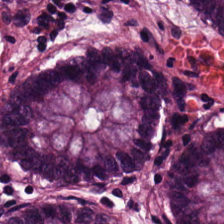The predominant tissue is normal colon mucosa.
